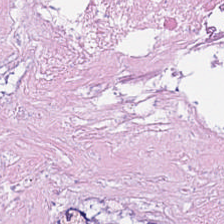Finding → debris.
